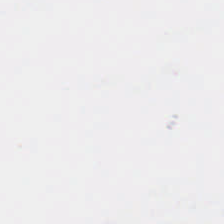H&E. Finding → background (no tissue).
